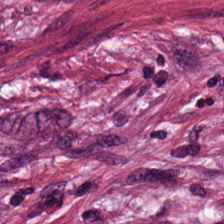H&E-stained tissue section — Predominant tissue = desmoplastic stroma.
